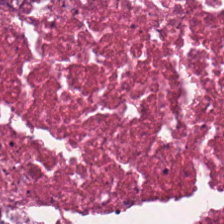Hematoxylin and eosin — {"tissue_type": "necrotic debris"}
